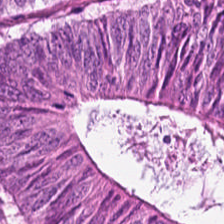FFPE tissue section · hematoxylin and eosin — Tissue class — tumor epithelium.
